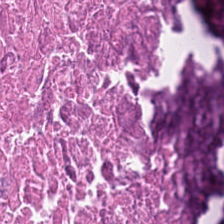The tissue type is necrotic debris.
